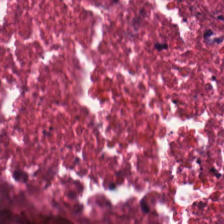H&E-stained tissue section; 0.5 microns per pixel; WSI patch.
Predominant tissue — necrotic debris.
